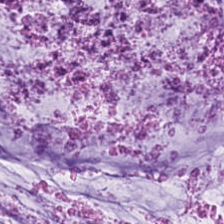H&E stain.
The classification is mucus.
